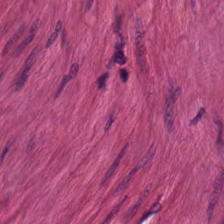{"tissue_type": "smooth-muscle tissue"}
